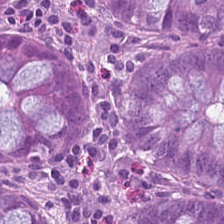Q: Identify the tissue.
A: The field shows benign colonic mucosa.
